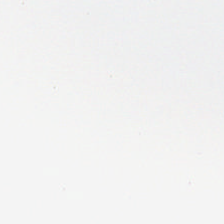Hematoxylin-and-eosin stained section — Classification = background (no tissue).
